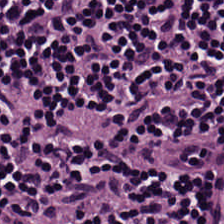H&E stain.
Q: What tissue is shown?
A: Lymphocyte aggregate.
